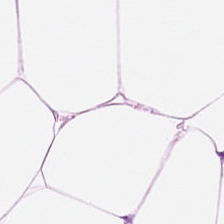Hematoxylin-and-eosin stained section. This field is fat tissue.
